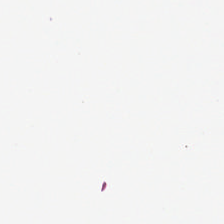Stain: H&E.
Preparation: formalin-fixed paraffin-embedded section.
Tile size: 224×224 pixel tile.
Classification: background (no tissue).
